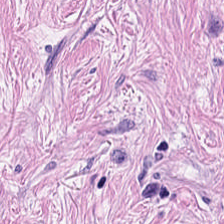H&E-stained tissue section.
Impression → desmoplastic stroma.
